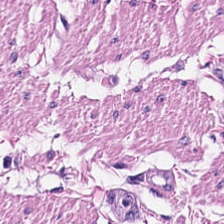H&E-stained tissue section. Finding — muscularis.
